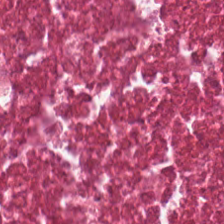Brightfield microscopy; H&E-stained tissue section.
Classification — debris.
